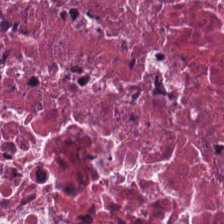H&E stain. FFPE tissue section. Tissue class = necrotic debris.
